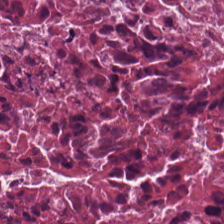Q: What does this patch show?
A: Debris.
